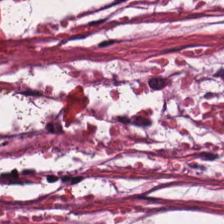Hematoxylin-and-eosin stained section — {"tissue_type": "tumor-associated stroma"}
